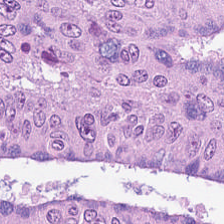Hematoxylin and eosin. The tissue is colorectal adenocarcinoma.
